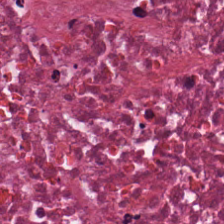H&E.
Tissue type — debris.
